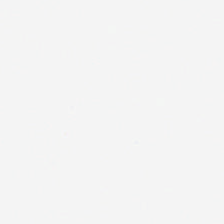H&E-stained tissue section. 224×224 px tile. This patch shows background (no tissue).
